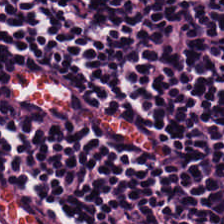{"tissue_type": "lymphocyte aggregate"}
